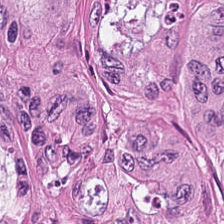H&E. This field is adenocarcinoma.
